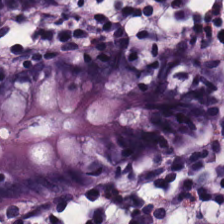Brightfield. H&E stain — Classification = normal colonic mucosa.
